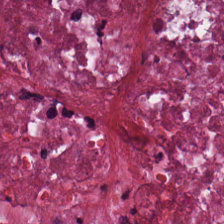Hematoxylin and eosin. FFPE tissue section. Brightfield microscopy. {"tissue_type": "debris"}
